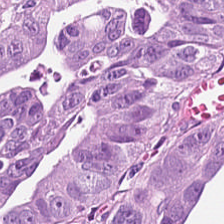H&E-stained tissue section; formalin-fixed paraffin-embedded section; WSI patch — Histology — tumor epithelium.
